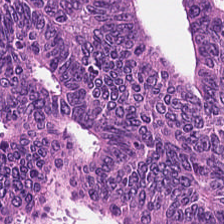H&E. This field is tumor epithelium.
